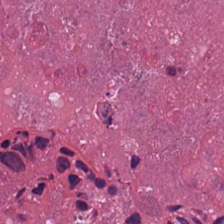Stain: H&E stain.
Tissue class: necrotic debris.
